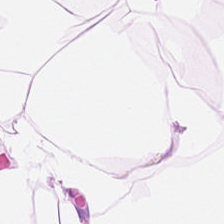Hematoxylin-and-eosin stained section · FFPE — This field is fat tissue.
